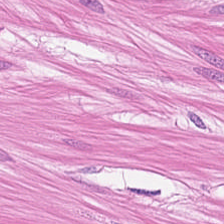H&E stain — This patch shows smooth-muscle tissue.
